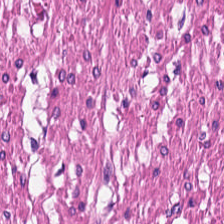Brightfield microscopy · H&E-stained tissue section. This field is muscularis.
